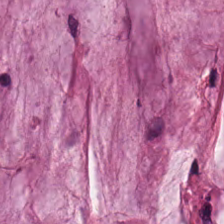Hematoxylin-and-eosin stained section. Predominant tissue: mucus.
